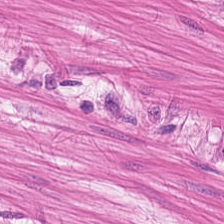Hematoxylin and eosin — Q: Identify the tissue.
A: It is smooth-muscle tissue.
